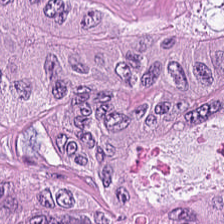Finding — tumor epithelium.
